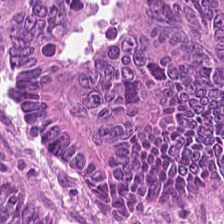H&E stain. This patch shows colorectal adenocarcinoma epithelium.
